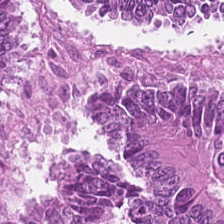Hematoxylin-and-eosin stained section — The predominant tissue is colorectal adenocarcinoma epithelium.
